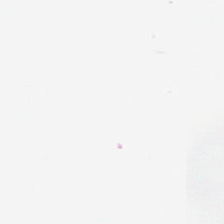H&E. Impression → background (no tissue).
